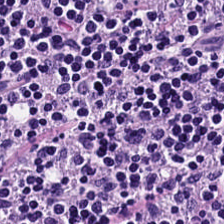H&E. Brightfield microscopy. Formalin-fixed paraffin-embedded section — Impression → lymphoid infiltrate.
